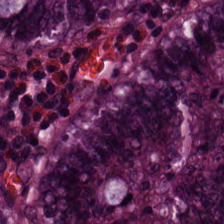Hematoxylin and eosin · brightfield. The predominant tissue is normal colon mucosa.
